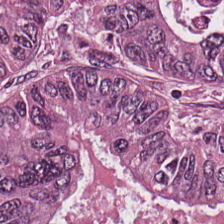224×224 px tile. Hematoxylin and eosin. Q: What does this patch show?
A: The field shows colorectal adenocarcinoma epithelium.
